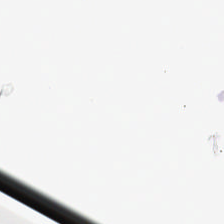Q: What does this patch show?
A: This is no tissue.
